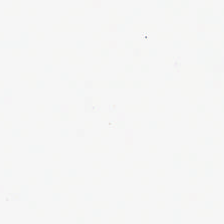Formalin-fixed paraffin-embedded section; H&E; 0.5 microns per pixel.
Field content = background (no tissue).
